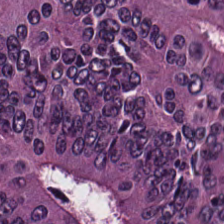Stain: H&E stain.
Tissue: malignant epithelium.
